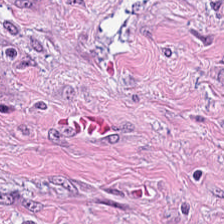Stain: H&E-stained tissue section.
Tissue type: tumor stroma.
